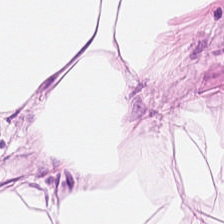Stain: hematoxylin-and-eosin stained section.
Tissue class: fat tissue.
